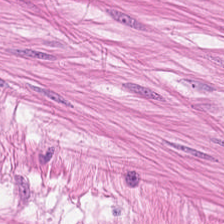Hematoxylin-and-eosin stained section. Q: What tissue is shown?
A: Smooth muscle.
